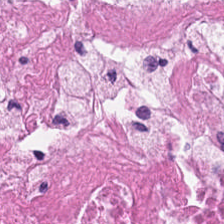0.5 µm/px; hematoxylin and eosin. Q: What is shown here?
A: Necrotic debris.
